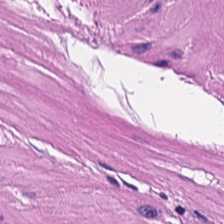H&E-stained tissue section. Q: What type of tissue is this?
A: The field shows smooth-muscle tissue.
